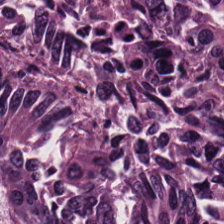H&E — This field is tumor epithelium.
